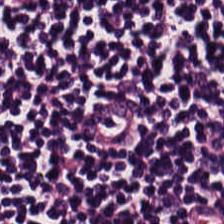Hematoxylin-and-eosin stained section. The tissue here is lymphocyte aggregate.
